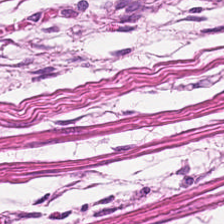H&E. Showing smooth muscle.
